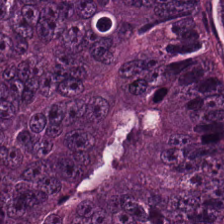Hematoxylin and eosin. 0.5 microns per pixel — Q: What tissue is shown?
A: Colorectal adenocarcinoma.
